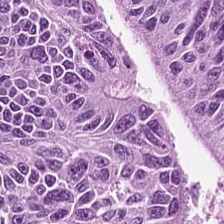Whole-slide-image patch. H&E-stained tissue section.
Tumor epithelium.
